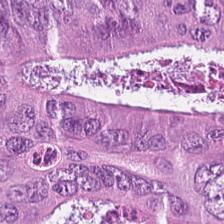Hematoxylin-and-eosin stained section. Q: Identify the tissue.
A: This is malignant epithelium.
